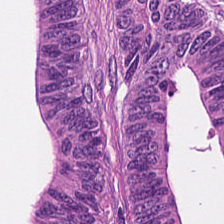Classification = colorectal adenocarcinoma epithelium.
